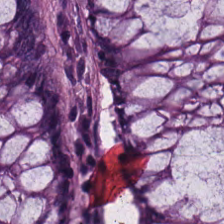Stain: H&E.
Tile size: 224×224 pixel tile.
Acquisition: WSI patch.
Tissue class: normal colon mucosa.
